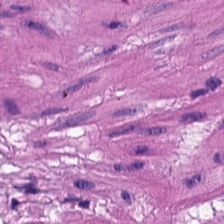Stain: H&E stain.
Tissue: muscularis.
